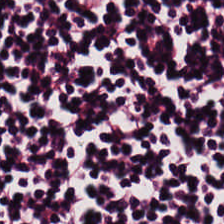Q: Classify this patch.
A: Lymphocytic infiltrate.
